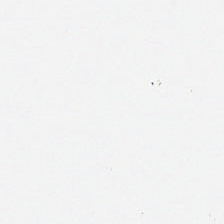Hematoxylin and eosin — This patch shows no tissue.
